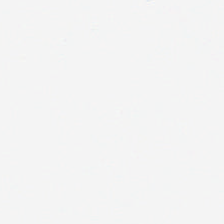Stain: H&E-stained tissue section.
Field content: background.
